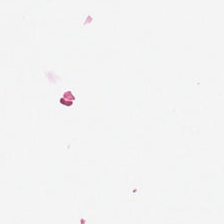Hematoxylin-and-eosin stained section. Q: What is shown here?
A: No tissue.
